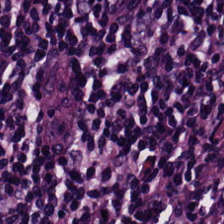H&E. Q: What is shown here?
A: It is lymphocyte aggregate.
